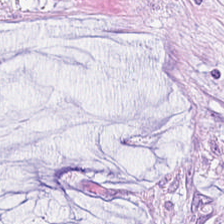H&E — mucin.
